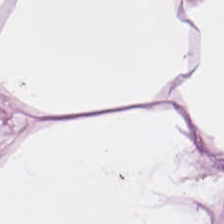Hematoxylin-and-eosin stained section — Q: What tissue type is shown here?
A: The field shows fat tissue.
